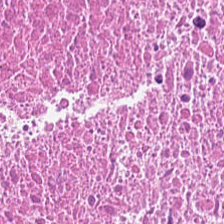H&E stain. {"tissue_type": "necrotic debris"}
